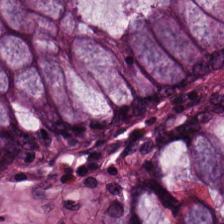0.5 microns per pixel. H&E — Finding — normal colonic mucosa.
